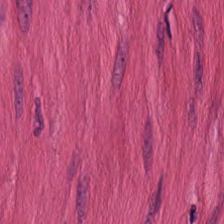H&E; 20× equivalent magnification. {"tissue_type": "muscularis"}
